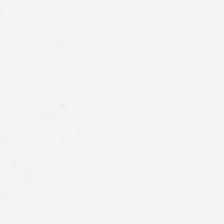H&E — Background — no tissue in this field.
